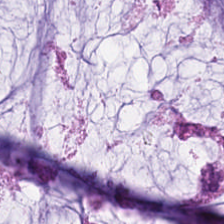H&E-stained tissue section.
Predominantly mucus.
